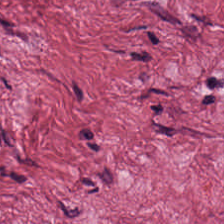0.5 microns per pixel · H&E · formalin-fixed paraffin-embedded section. Tumor stroma.
